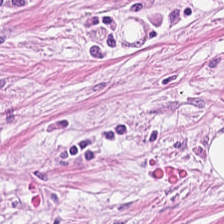Formalin-fixed paraffin-embedded section; hematoxylin and eosin.
Tissue = tumor-associated stroma.
